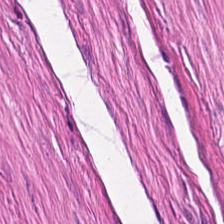Tissue — smooth-muscle tissue.
